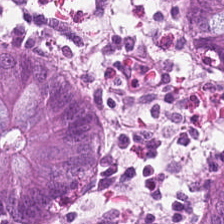Stain: hematoxylin and eosin.
Tile size: 224×224 px patch.
Classification: non-neoplastic colon mucosa.
